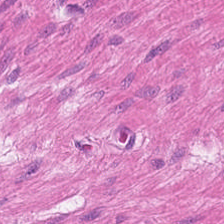0.5 microns per pixel · H&E stain.
The tissue here is smooth muscle.
